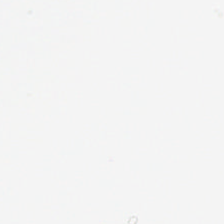Classification = empty background.
